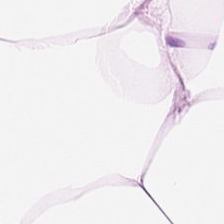0.5 µm per pixel; hematoxylin and eosin. Showing adipocytes.
